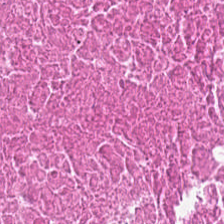Hematoxylin and eosin — Classification — cellular debris.
